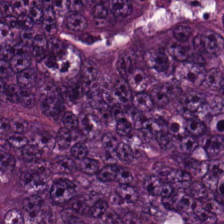Hematoxylin-and-eosin stained section. 0.5 µm/px — Predominant tissue: malignant epithelium.
